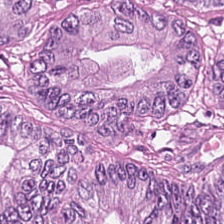Whole-slide-image patch · 224×224 pixel tile · H&E stain. Q: What is the predominant tissue type?
A: This is colorectal adenocarcinoma.
